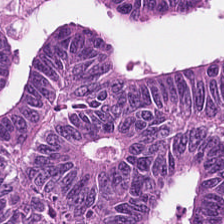FFPE; H&E.
This patch shows colorectal adenocarcinoma.
